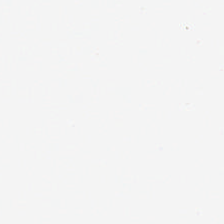H&E.
Field content — no tissue.
